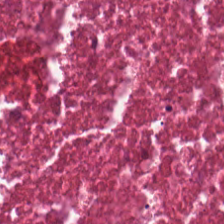Stain: hematoxylin-and-eosin stained section.
Classification: necrotic debris.
